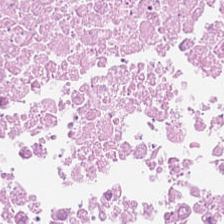Stain: hematoxylin and eosin.
Preparation: formalin-fixed paraffin-embedded section.
Tissue class: cellular debris.
